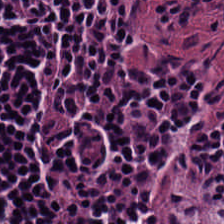224×224 pixel tile. Brightfield. Hematoxylin and eosin — Showing lymphocyte aggregate.
